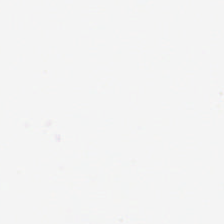Classification — background (no tissue).
